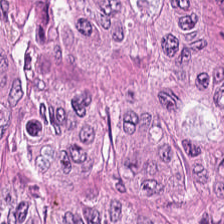H&E — Colorectal adenocarcinoma.
